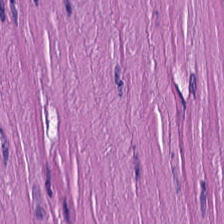Finding — smooth muscle.
